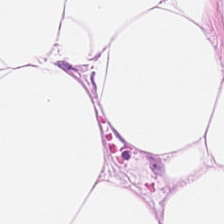H&E. Showing adipocytes.
